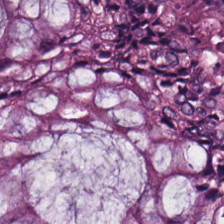The tissue type is normal colon mucosa.
